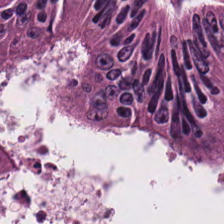224×224 px patch. Hematoxylin and eosin — Q: What is the predominant tissue type?
A: Adenocarcinoma.
